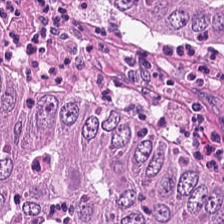H&E-stained tissue section. 224×224 px tile.
Classification: adenocarcinoma.
